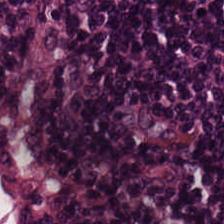Stain: hematoxylin-and-eosin stained section.
Tissue class: lymphocytes.
